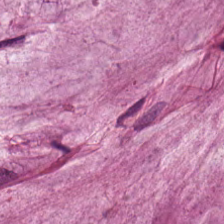H&E stain. Whole-slide-image patch.
This patch shows mucin.
